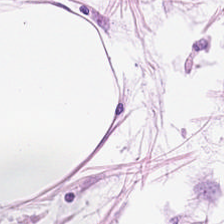Hematoxylin-and-eosin stained section — Q: What tissue is shown?
A: It is adipose.
